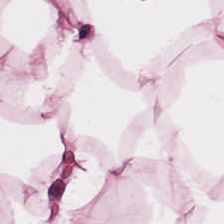H&E.
Showing adipocytes.
